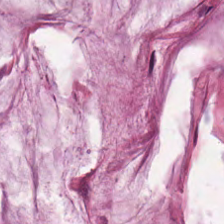Hematoxylin-and-eosin stained section — Tissue type — mucus.
